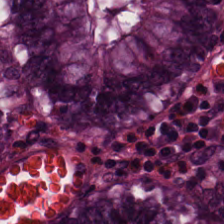H&E stain · FFPE · 224×224 px tile — Q: What is shown here?
A: It is non-neoplastic colon mucosa.
